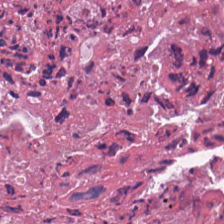Hematoxylin-and-eosin stained section; FFPE tissue section — The predominant tissue is necrotic debris.
